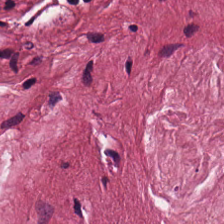H&E-stained tissue section.
Predominant tissue — cancer-associated stroma.
